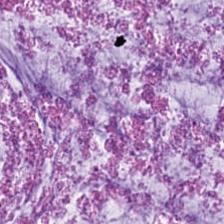H&E. This field is mucus.
